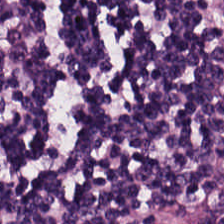H&E. 0.5 microns per pixel — The predominant tissue is lymphocytes.
